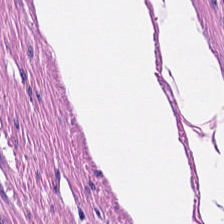H&E-stained tissue section — Predominantly smooth muscle.
